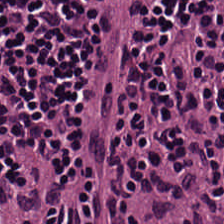Hematoxylin and eosin. WSI patch. Predominantly lymphocyte aggregate.
